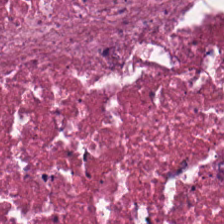Classification = cellular debris.
